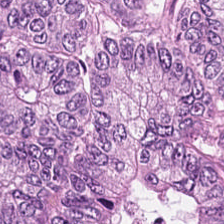H&E stain; whole-slide-image patch; FFPE. {"tissue_type": "colorectal adenocarcinoma epithelium"}
